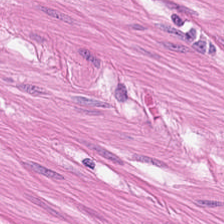Whole-slide-image patch. 0.5 microns per pixel. Hematoxylin and eosin.
Q: Identify the tissue.
A: The field shows muscularis.
